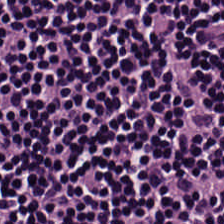H&E-stained tissue section — The tissue here is lymphoid infiltrate.
